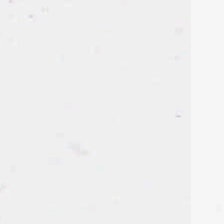Stain: hematoxylin-and-eosin stained section.
Classification: background (no tissue).
